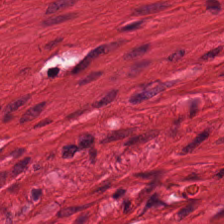H&E-stained tissue section. Tissue class: muscularis.
